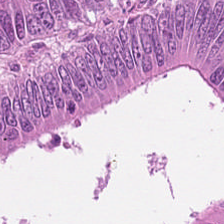H&E. Predominant tissue = malignant epithelium.
